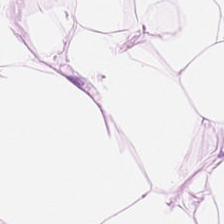H&E stain. Tissue type — adipose.
